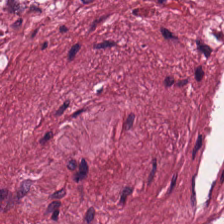Tumor stroma.
